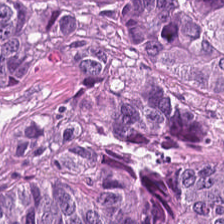Tissue class: colorectal adenocarcinoma epithelium.
